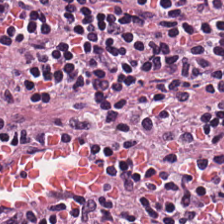H&E-stained tissue section. This field is lymphocytes.
